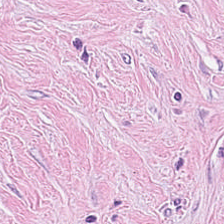Hematoxylin and eosin.
This patch shows tumor-associated stroma.
